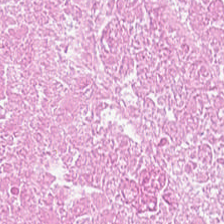Hematoxylin and eosin.
Classification = necrotic debris.
